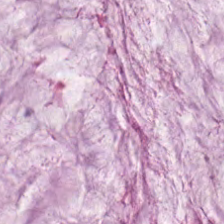The predominant tissue is extracellular mucin.
